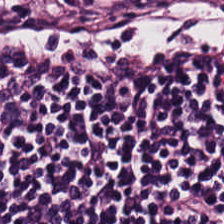Whole-slide-image patch · FFPE tissue section · H&E-stained tissue section.
Histology → lymphocytic infiltrate.
